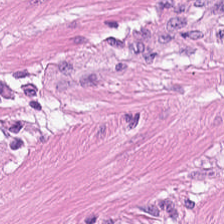H&E.
Tissue class — muscularis.
